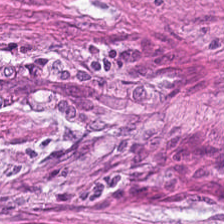Hematoxylin-and-eosin section: desmoplastic stroma.
